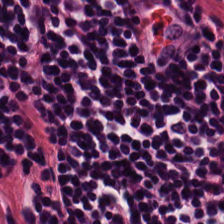H&E-stained tissue section.
Predominantly lymphocyte aggregate.
